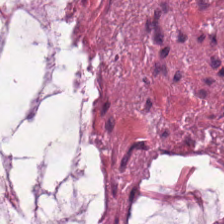FFPE tissue section. H&E-stained tissue section. {"tissue_type": "extracellular mucin"}
